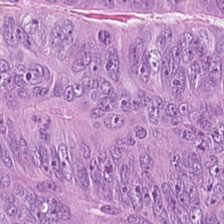H&E-stained tissue section.
{"tissue_type": "colorectal adenocarcinoma"}
